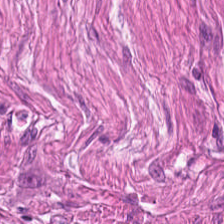H&E stain · WSI patch — The tissue type is muscularis.
